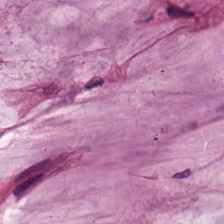Stain: H&E-stained tissue section.
Tissue: mucus.
